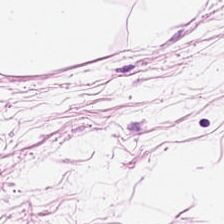Hematoxylin-and-eosin stained section — Classification: fat tissue.
